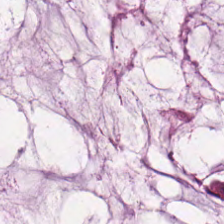Stain: H&E.
Predominant tissue: mucus.
